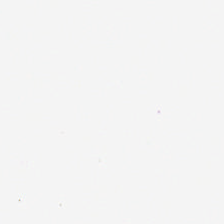Stain: hematoxylin-and-eosin stained section.
Classification: no tissue.
